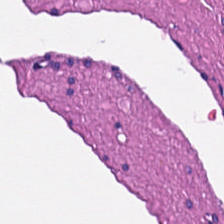Hematoxylin and eosin.
Tissue class: muscularis.
